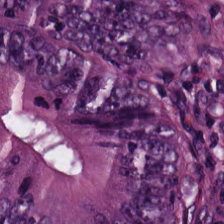Brightfield microscopy · H&E-stained tissue section · formalin-fixed paraffin-embedded section. Predominantly colorectal adenocarcinoma epithelium.
